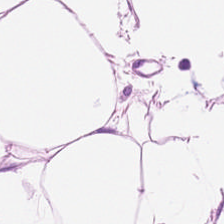WSI patch; H&E stain.
Tissue type — adipose.
